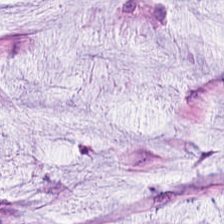Brightfield microscopy · FFPE tissue section · H&E. Tissue class = mucus.
